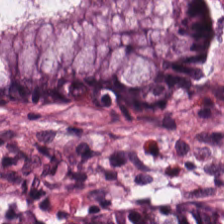The classification is normal colonic mucosa.
